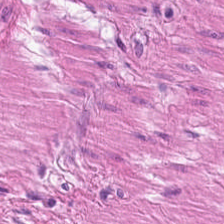Tissue = smooth muscle.
